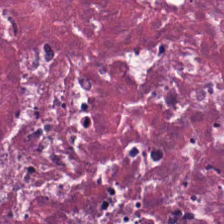0.5 microns per pixel. Hematoxylin-and-eosin stained section. Showing debris.
